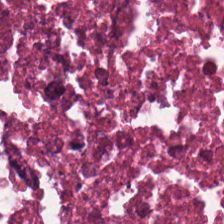Hematoxylin and eosin — The classification is debris.
